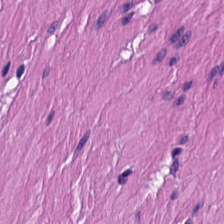Impression — smooth-muscle tissue.
